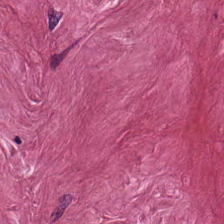FFPE; H&E stain. Q: What type of tissue is this?
A: It is tumor-associated stroma.
